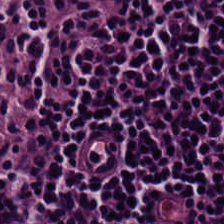0.5 microns per pixel. Hematoxylin and eosin — Tissue class — lymphoid infiltrate.
